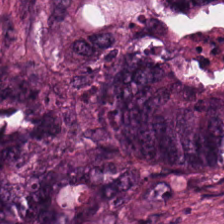H&E — The tissue here is colorectal adenocarcinoma.
